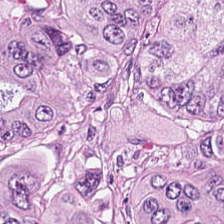Stain: hematoxylin and eosin.
Tile size: 224×224 pixel tile.
Acquisition: WSI patch.
Tissue type: colorectal adenocarcinoma epithelium.
